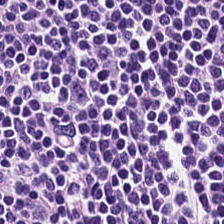H&E-stained tissue section showing lymphocyte aggregate.
